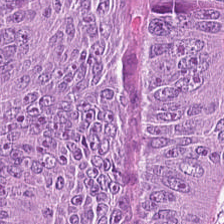Whole-slide-image patch. H&E stain. 224×224 px patch — The predominant tissue is malignant epithelium.
